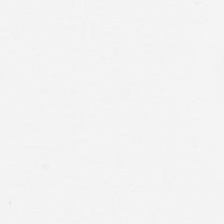Content — background.
